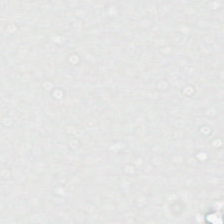Hematoxylin-and-eosin stained section. No tissue present; background only.
